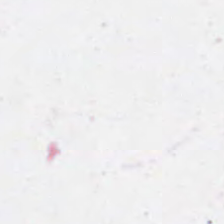Empty field — no tissue.
